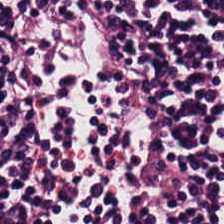Hematoxylin and eosin — The classification is lymphocyte aggregate.
